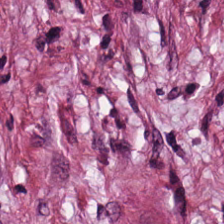Tumor-associated stroma.
